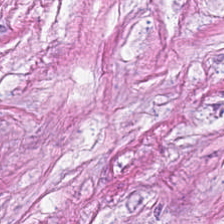Histology — tumor-associated stroma.
